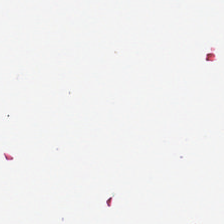H&E stain.
Q: What is shown here?
A: The field shows background (no tissue).
